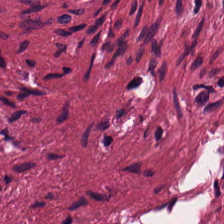H&E stain.
The tissue is tumor-associated stroma.
